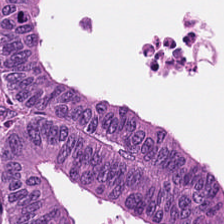20× equivalent magnification · H&E. This patch shows tumor epithelium.
